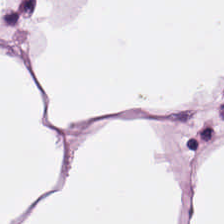Hematoxylin-and-eosin stained section · 20× equivalent magnification · 224×224 pixel tile.
Tissue = adipocytes.
